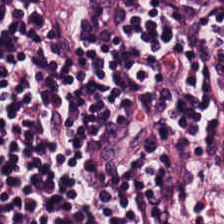H&E stain. This field is lymphocytes.
